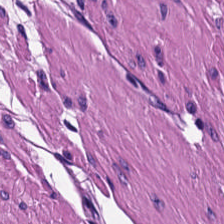224×224 px tile · H&E-stained tissue section · formalin-fixed paraffin-embedded section. Smooth-muscle tissue.
